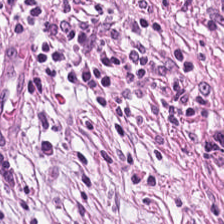H&E; FFPE.
Showing cancer-associated stroma.
